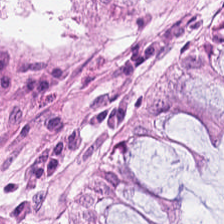0.5 µm per pixel; hematoxylin-and-eosin stained section; FFPE.
Benign colonic mucosa.
